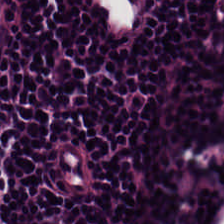Brightfield; H&E stain; 0.5 µm/px — Predominantly lymphocyte aggregate.
